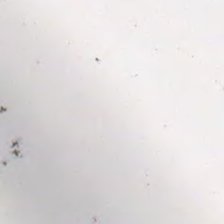Hematoxylin-and-eosin stained section.
Finding → background.
